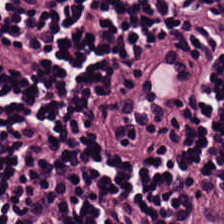Hematoxylin and eosin. Whole-slide-image patch. FFPE.
The predominant tissue is lymphocyte aggregate.
